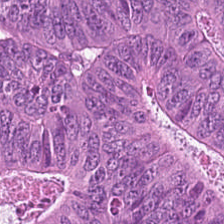Q: What does this patch show?
A: It is malignant epithelium.
